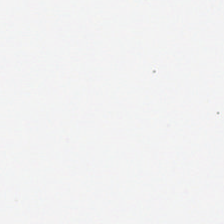H&E stain — Q: What is shown here?
A: It is no tissue.
